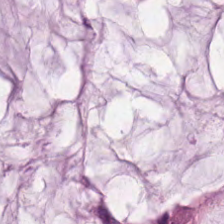H&E stain; formalin-fixed paraffin-embedded section.
The tissue type is mucin.
